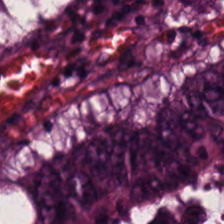224×224 px patch · hematoxylin-and-eosin stained section — Q: What tissue is shown?
A: This is colorectal adenocarcinoma.
